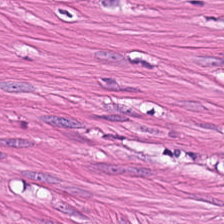H&E stain · brightfield microscopy.
Finding → smooth-muscle tissue.
